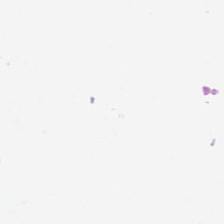Classification = empty background.
